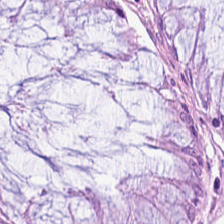H&E-stained tissue section.
Impression → normal colonic mucosa.
